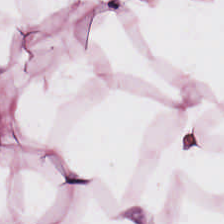H&E stain. The tissue class is adipose.
